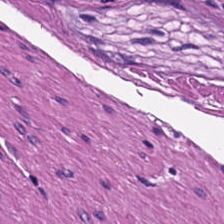H&E-stained tissue section. Histology — smooth-muscle tissue.
